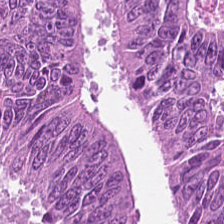H&E-stained tissue section — Histology → colorectal adenocarcinoma.
